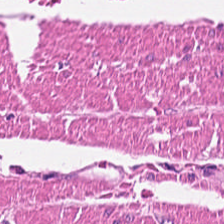Finding — smooth-muscle tissue.
